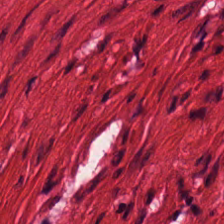FFPE tissue section. 0.5 µm per pixel. H&E.
{"tissue_type": "smooth muscle"}
